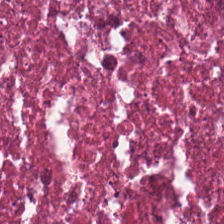This patch shows debris.
